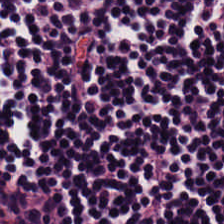Hematoxylin and eosin; 0.5 µm/px. The tissue here is lymphocytes.
